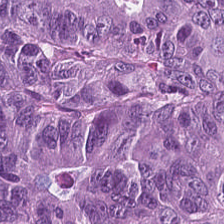Hematoxylin-and-eosin stained section. The tissue type is adenocarcinoma.
